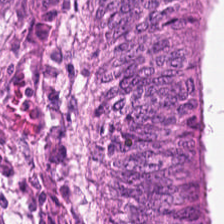H&E stain. Q: Classify this patch.
A: This is malignant epithelium.
